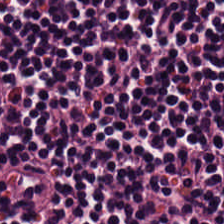H&E stain. 0.5 microns per pixel.
Predominant tissue — lymphoid infiltrate.
